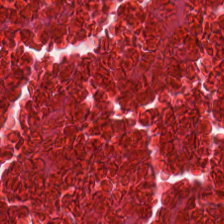The tissue here is necrotic debris.
